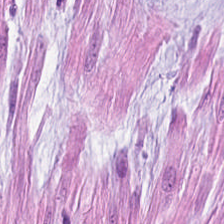Stain: H&E-stained tissue section.
Resolution: 0.5 µm/px.
Tile size: 224×224 px patch.
Tissue type: extracellular mucin.
